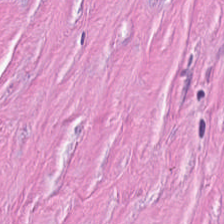Impression — desmoplastic stroma.
